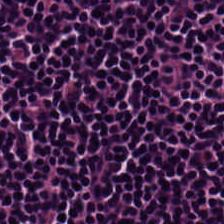Hematoxylin-and-eosin section: lymphocyte aggregate.
